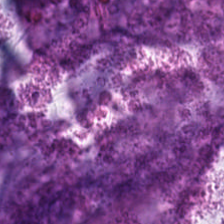{"tissue_type": "mucus"}
